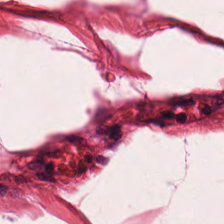H&E-stained tissue section. Showing muscularis.
